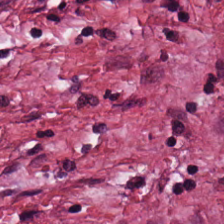{"tissue_type": "tumor-associated stroma"}
